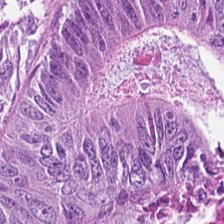H&E-stained tissue section.
Q: What is the predominant tissue type?
A: Tumor epithelium.
